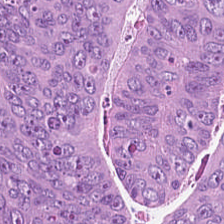Hematoxylin-and-eosin stained section.
This patch shows colorectal adenocarcinoma.
